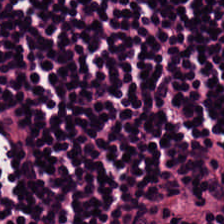Q: What type of tissue is this?
A: This is lymphocytic infiltrate.
